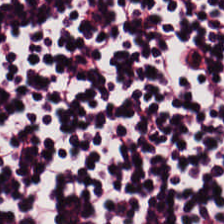Stain: H&E-stained tissue section.
Classification: lymphocytic infiltrate.
